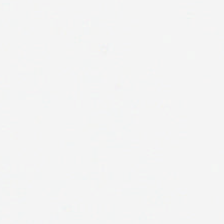Impression — background (no tissue).
